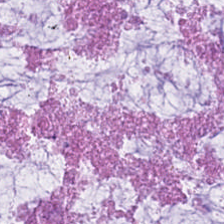H&E-stained tissue section. FFPE tissue section. Brightfield microscopy — The tissue here is mucin.
